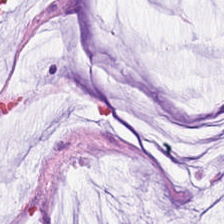H&E-stained tissue section. This field is mucus.
